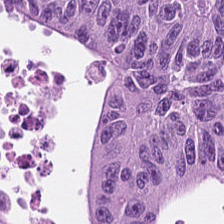Q: What is shown in this field?
A: The field shows malignant epithelium.
